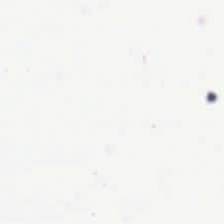H&E-stained tissue section — Content — background.
